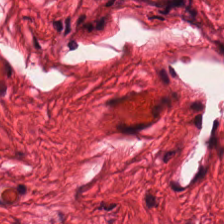H&E stain — The predominant tissue is smooth muscle.
